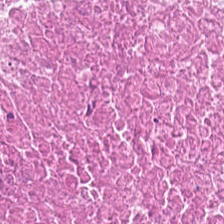H&E-stained tissue section showing debris.
